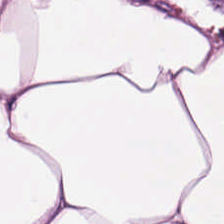Hematoxylin and eosin — Showing fat tissue.
